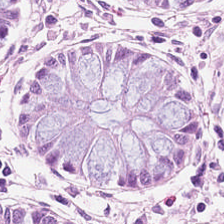H&E stain — Non-neoplastic colon mucosa.
